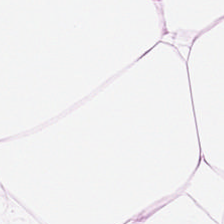Q: Classify this patch.
A: Adipocytes.
